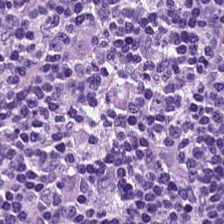H&E stain. Predominant tissue = lymphocytes.
